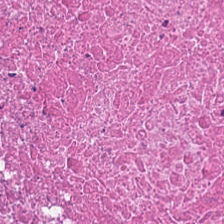{"tissue_type": "necrotic debris"}
